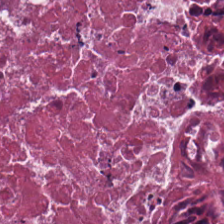H&E-stained tissue section · 0.5 µm per pixel.
Q: What is the predominant tissue type?
A: It is necrotic debris.
